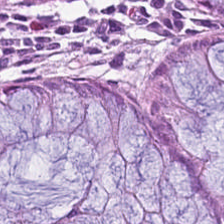H&E; brightfield microscopy.
This patch shows benign colonic mucosa.
